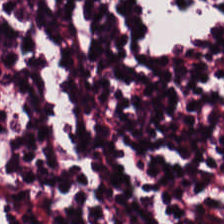Hematoxylin and eosin — Q: What is shown here?
A: Lymphoid infiltrate.
